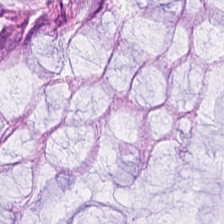Benign colonic mucosa.
